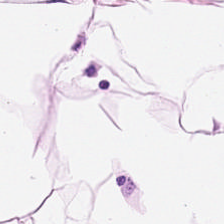Stain: H&E stain.
Tissue: adipose tissue.
